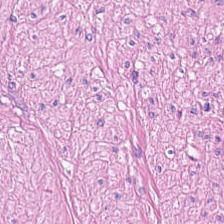H&E stain; FFPE.
Q: What type of tissue is this?
A: It is muscularis.
